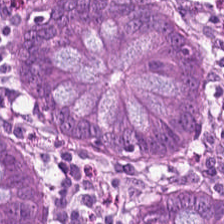H&E-stained section; the field shows normal colonic mucosa.
